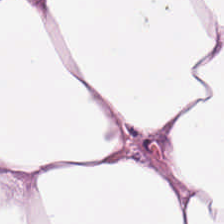H&E stain — Histology → adipocytes.
